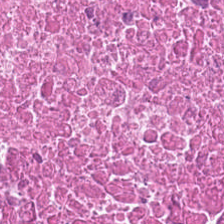224×224 px patch. H&E-stained tissue section.
Tissue: debris.
